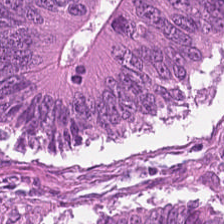FFPE · brightfield · H&E.
Predominant tissue = colorectal adenocarcinoma epithelium.
